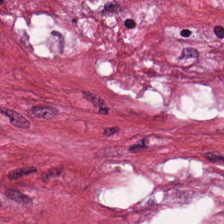Hematoxylin-and-eosin stained section · 0.5 microns per pixel.
Q: Classify this patch.
A: Desmoplastic stroma.
